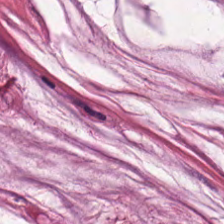H&E-stained tissue section. This patch shows mucin.
